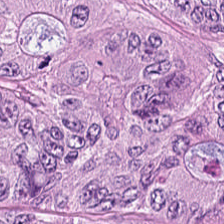H&E stain.
Finding → colorectal adenocarcinoma.
